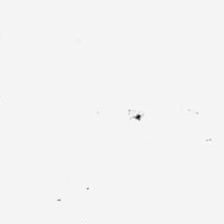Hematoxylin-and-eosin stained section — {"content": "no tissue"}
